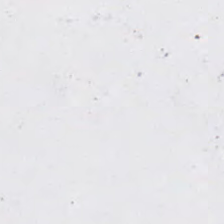Stain: H&E stain.
Acquisition: whole-slide-image patch.
Field content: background (no tissue).
